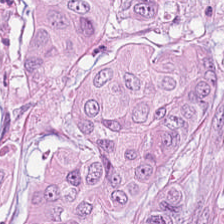Stain: H&E.
Resolution: 20× equivalent magnification.
Acquisition: whole-slide-image patch.
Predominant tissue: malignant epithelium.
